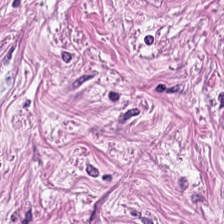H&E. Classification — tumor stroma.
